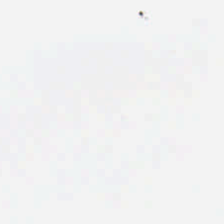H&E-stained tissue section — Histology → empty background.
